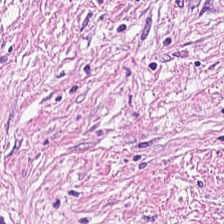224×224 px tile; H&E stain; 20× equivalent magnification — The tissue class is tumor-associated stroma.
